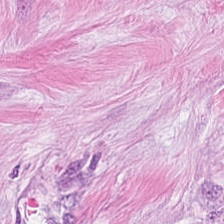Q: Classify this patch.
A: The field shows tumor stroma.
